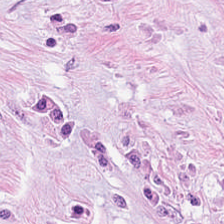Tissue type = tumor stroma.
